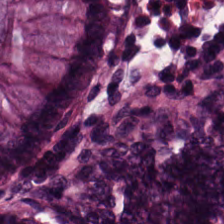224×224 px patch · H&E stain · FFPE.
This patch shows non-neoplastic colon mucosa.
